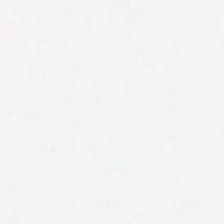H&E stain — Classification: no tissue.
